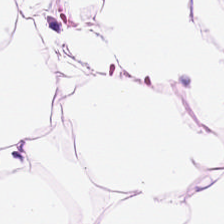Hematoxylin and eosin. This field is adipose.
